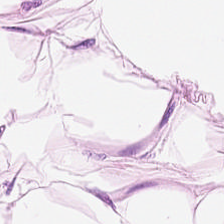Stain: H&E stain.
Tissue: adipose.
